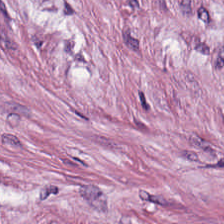Hematoxylin and eosin. This field is cancer-associated stroma.
